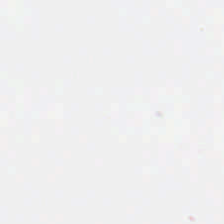H&E. FFPE tissue section. 224×224 pixel tile. Classification — no tissue.
